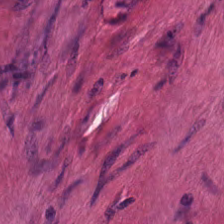FFPE. H&E-stained tissue section — Predominantly smooth muscle.
